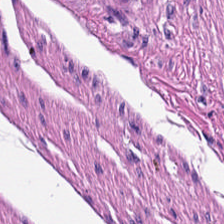H&E · 224×224 pixel tile — {"tissue_type": "muscularis"}
